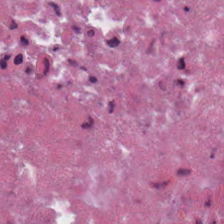H&E · 20× equivalent magnification — Q: What is shown here?
A: It is cellular debris.
